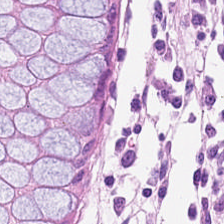H&E; brightfield.
Predominantly normal colonic mucosa.
